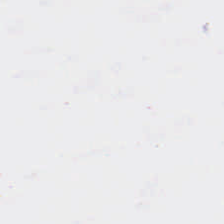H&E-stained tissue section.
Q: What is shown in this field?
A: This is no tissue.
